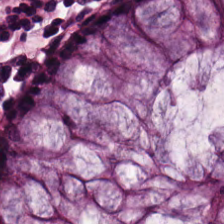Hematoxylin and eosin. Tissue: normal colon mucosa.
